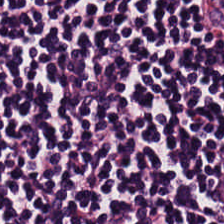H&E. Q: What is shown in this field?
A: The field shows lymphocytic infiltrate.
